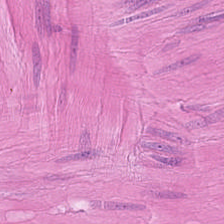H&E.
Showing smooth muscle.
